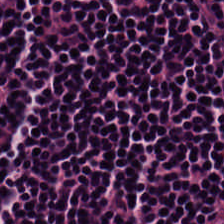0.5 µm per pixel · H&E stain · brightfield — Tissue = lymphocytic infiltrate.
